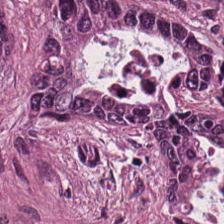Malignant epithelium.
